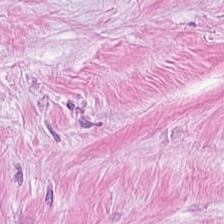0.5 µm per pixel. H&E.
This field is tumor stroma.
